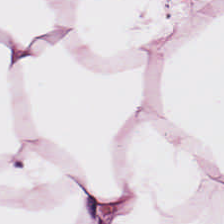Formalin-fixed paraffin-embedded section · 224×224 px tile · H&E-stained tissue section — Q: Identify the tissue.
A: Adipose tissue.
